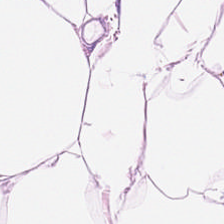H&E stain; 224×224 pixel tile.
Classification: fat tissue.
